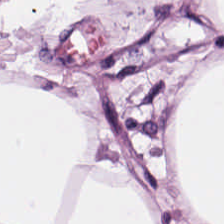Tissue type: adipocytes.
